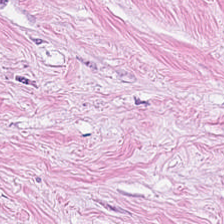0.5 µm/px; H&E stain. Q: Classify this patch.
A: It is cancer-associated stroma.
